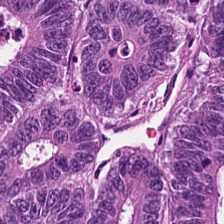Hematoxylin and eosin. Malignant epithelium.
